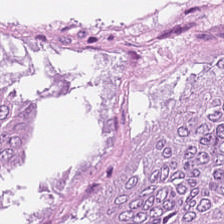H&E; FFPE — This field is colorectal adenocarcinoma.
